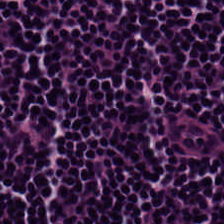Whole-slide-image patch. Hematoxylin-and-eosin stained section. FFPE. Q: What does this patch show?
A: This is lymphoid infiltrate.
